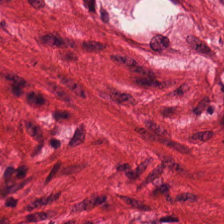H&E stain.
Predominantly muscularis.
